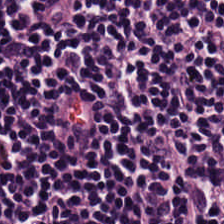Stain: H&E stain.
Resolution: 0.5 microns per pixel.
Tissue: lymphocyte aggregate.
